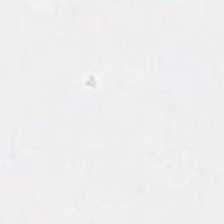Stain: hematoxylin and eosin.
Field content: background.
